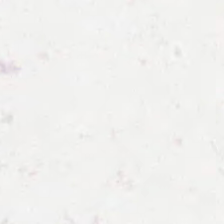This field is background (no tissue).
